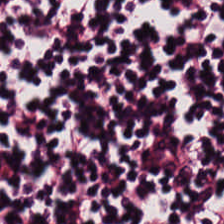H&E-stained tissue section — The predominant tissue is lymphocytes.
